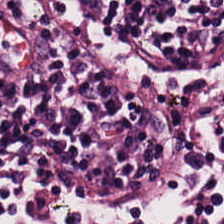H&E. Q: What type of tissue is this?
A: It is lymphocytes.
